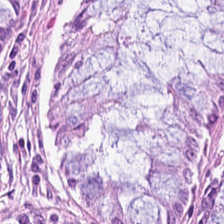224×224 px tile; H&E-stained tissue section.
Benign colonic mucosa.
